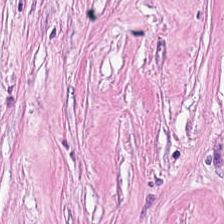H&E-stained tissue section. This patch shows desmoplastic stroma.
